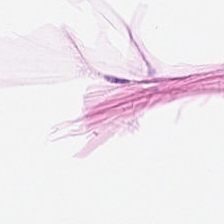H&E stain. 224×224 px patch.
{"tissue_type": "fat tissue"}
